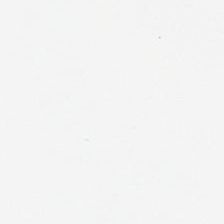H&E — Q: What is shown in this field?
A: It is no tissue.
